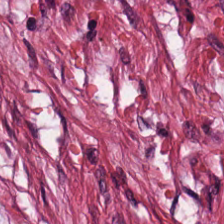Whole-slide-image patch; hematoxylin and eosin; 224×224 pixel tile. The tissue type is cancer-associated stroma.
